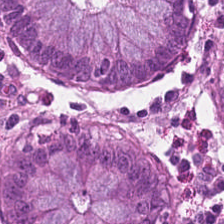Stain: hematoxylin and eosin.
Classification: non-neoplastic colon mucosa.
